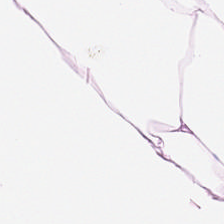Hematoxylin-and-eosin stained section.
Predominantly adipose tissue.
